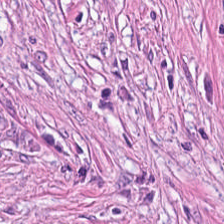0.5 microns per pixel · hematoxylin and eosin. Q: What is shown here?
A: This is desmoplastic stroma.
